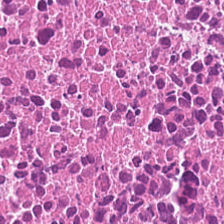H&E-stained tissue section · 224×224 pixel tile — Predominantly cellular debris.
